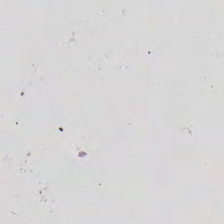{"content": "empty background"}
